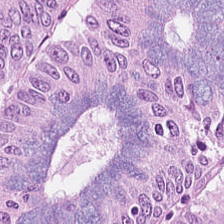Tissue = colorectal adenocarcinoma epithelium.
